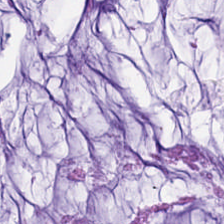H&E; FFPE — Mucus.
